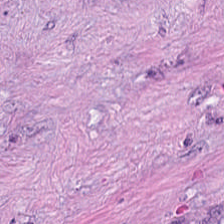224×224 px patch. Formalin-fixed paraffin-embedded section. H&E — Tissue type = tumor-associated stroma.
